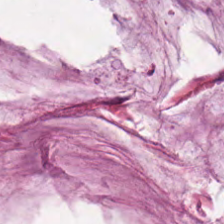Impression — mucin.
